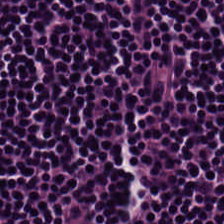Stain: hematoxylin-and-eosin stained section.
Preparation: FFPE.
Tissue: lymphocytic infiltrate.
